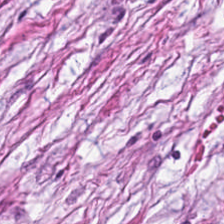Brightfield microscopy · H&E.
Finding → cancer-associated stroma.
